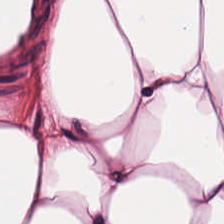FFPE · H&E stain · 0.5 µm/px.
Tissue type — adipocytes.
